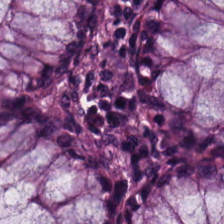Hematoxylin-and-eosin stained section · formalin-fixed paraffin-embedded section. Q: What is shown here?
A: This is non-neoplastic colon mucosa.
